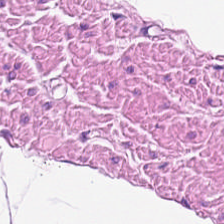Classification: muscularis.
